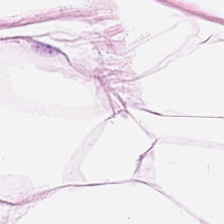H&E.
Predominantly adipose.
